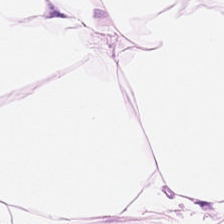H&E stain.
The tissue type is adipose tissue.
